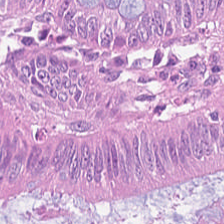H&E-stained tissue section — This field is adenocarcinoma.
